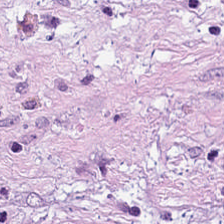H&E.
The predominant tissue is cancer-associated stroma.
